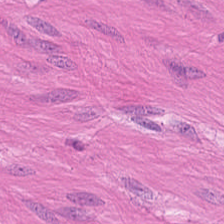Stain: H&E-stained tissue section.
Tissue class: smooth muscle.
